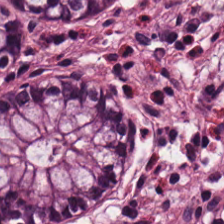Brightfield. H&E stain.
Normal colonic mucosa.
